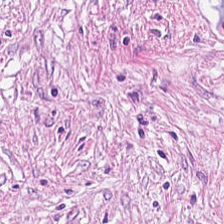Brightfield; hematoxylin and eosin; 0.5 µm/px.
This patch shows cancer-associated stroma.
